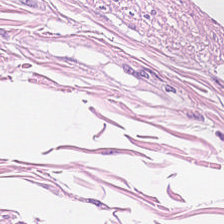H&E-stained tissue section — The predominant tissue is smooth muscle.
